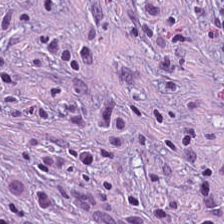H&E stain.
Showing cancer-associated stroma.
